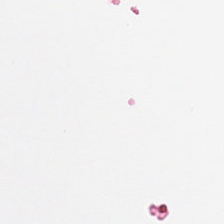Stain: hematoxylin and eosin.
Classification: no tissue.
